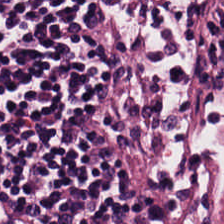Hematoxylin and eosin — {"tissue_type": "lymphocytes"}
